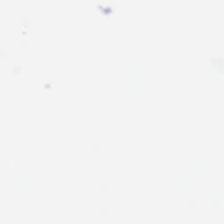H&E-stained tissue section. 224×224 px patch — Background — no tissue in this field.
